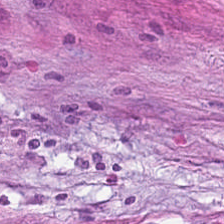H&E-stained tissue section.
The tissue here is tumor-associated stroma.
